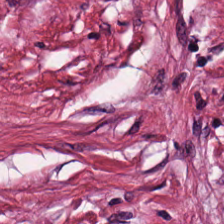Stain: hematoxylin-and-eosin stained section.
Tile size: 224×224 px tile.
Acquisition: whole-slide-image patch.
Tissue class: tumor stroma.
